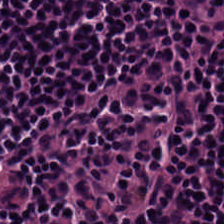Q: What tissue type is shown here?
A: This is lymphocyte aggregate.
